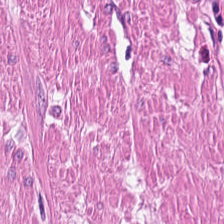{"tissue_type": "smooth-muscle tissue"}
